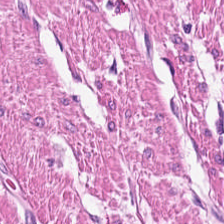Q: What does this patch show?
A: It is smooth-muscle tissue.
